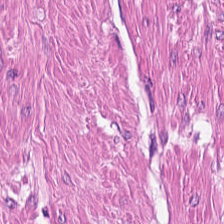Hematoxylin and eosin — This field is muscularis.
